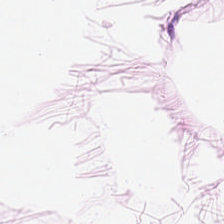Q: Classify this patch.
A: The field shows adipose.
